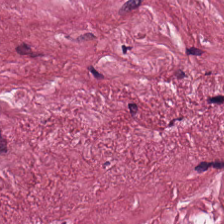Q: Identify the tissue.
A: The field shows desmoplastic stroma.
